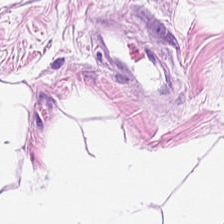H&E stain — Q: What tissue type is shown here?
A: It is adipose.
